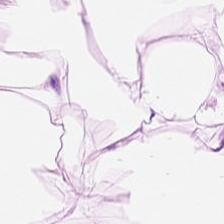Tissue — fat tissue.
